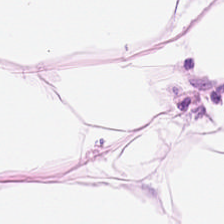0.5 microns per pixel; H&E — This patch shows adipose tissue.
